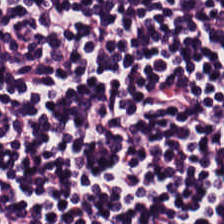Brightfield · H&E-stained tissue section.
Predominantly lymphocyte aggregate.
